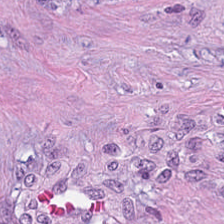0.5 µm per pixel. WSI patch. H&E. Finding → tumor stroma.
